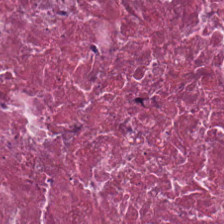Stain: hematoxylin-and-eosin stained section.
Tissue type: debris.
